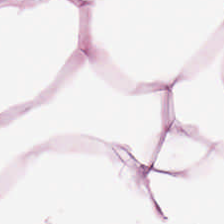Hematoxylin and eosin.
The classification is fat tissue.
